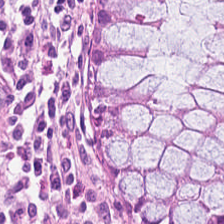FFPE tissue section; 0.5 µm/px; hematoxylin and eosin — Predominant tissue = non-neoplastic colon mucosa.
